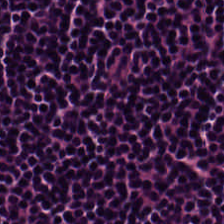H&E-stained tissue section. Brightfield. {"tissue_type": "lymphoid infiltrate"}
